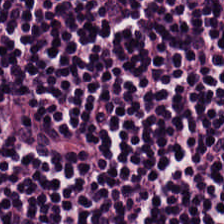H&E stain. Finding — lymphocytes.
